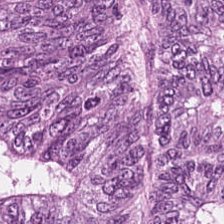H&E-stained tissue section; 224×224 px tile; brightfield microscopy — Q: What is shown here?
A: Colorectal adenocarcinoma epithelium.
